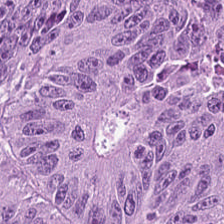Formalin-fixed paraffin-embedded section; H&E stain. Tissue type — colorectal adenocarcinoma epithelium.
